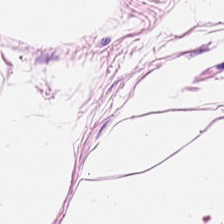H&E stain — This field is adipose tissue.
